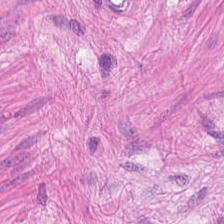The tissue here is smooth muscle.
